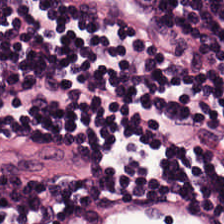Stain: hematoxylin-and-eosin stained section.
Tissue type: lymphocyte aggregate.
